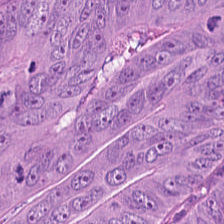H&E. 0.5 µm per pixel.
Tumor epithelium.
